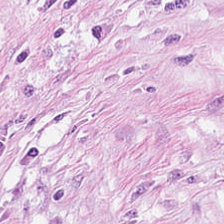Hematoxylin-and-eosin stained section; brightfield microscopy; 224×224 pixel tile. Tissue — cancer-associated stroma.
